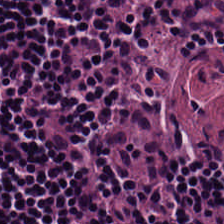H&E-stained tissue section showing lymphoid infiltrate.
